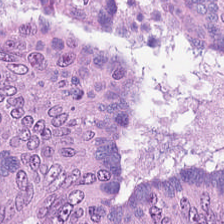H&E-stained tissue section. 20× equivalent magnification. Brightfield microscopy — This field is colorectal adenocarcinoma.
